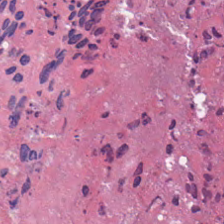Stain: H&E.
Tissue class: debris.
